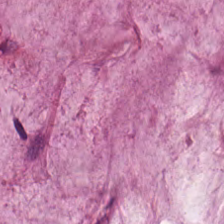Hematoxylin and eosin.
The tissue here is extracellular mucin.
